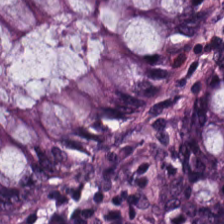H&E stain; 0.5 microns per pixel. This field is non-neoplastic colon mucosa.
